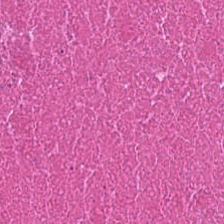Hematoxylin and eosin; 224×224 px tile. Tissue class — cellular debris.
